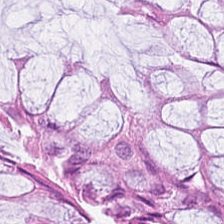H&E-stained tissue section.
The tissue type is non-neoplastic colon mucosa.
